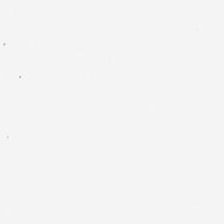H&E-stained tissue section.
{"content": "background (no tissue)"}
